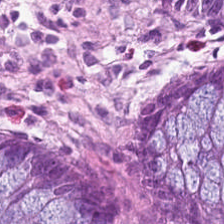H&E · 0.5 µm/px. Tissue class: normal colon mucosa.
